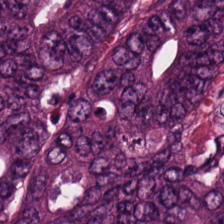Hematoxylin and eosin; 224×224 px tile — Colorectal adenocarcinoma epithelium.
